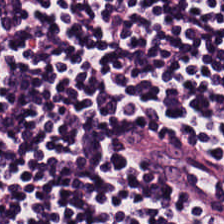Hematoxylin and eosin; FFPE — The tissue here is lymphocyte aggregate.
